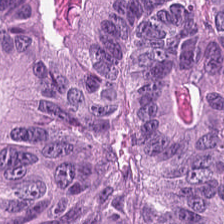H&E stain — Malignant epithelium.
